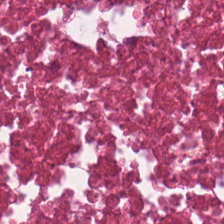Hematoxylin and eosin.
Tissue type — debris.
